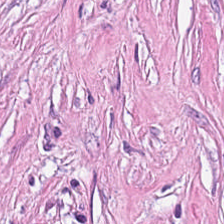224×224 pixel tile · hematoxylin and eosin. The tissue here is cancer-associated stroma.
